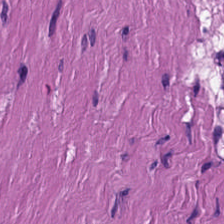Hematoxylin and eosin. 224×224 px patch.
Showing smooth muscle.
